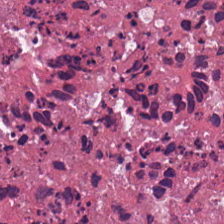Hematoxylin-and-eosin stained section. Predominantly necrotic debris.
